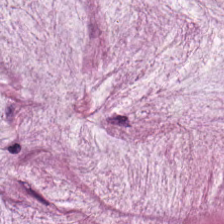Q: Classify this patch.
A: It is mucin.
